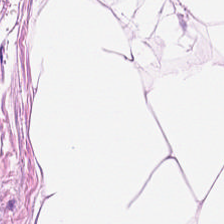FFPE · H&E. Q: Identify the tissue.
A: Fat tissue.
